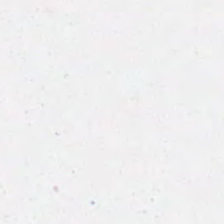H&E · 224×224 pixel tile · FFPE tissue section — Field content = background.
